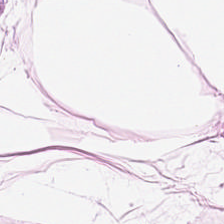Stain: hematoxylin and eosin.
Preparation: formalin-fixed paraffin-embedded section.
Resolution: 0.5 µm/px.
Predominant tissue: adipose.
